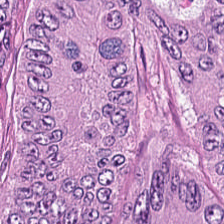Formalin-fixed paraffin-embedded section; H&E; 224×224 pixel tile — Tumor epithelium.
